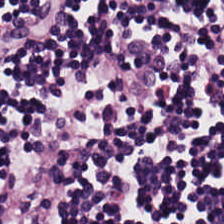0.5 µm/px; hematoxylin and eosin. Q: What is shown in this field?
A: The field shows lymphocytic infiltrate.
